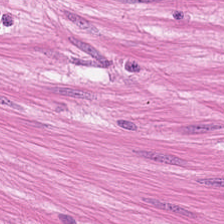H&E-stained section; the field shows smooth-muscle tissue.
